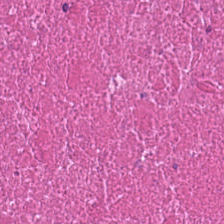H&E. Histology — debris.
